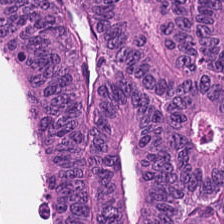Hematoxylin and eosin — Tissue type: malignant epithelium.
